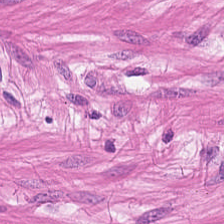Hematoxylin and eosin — Q: Classify this patch.
A: It is smooth-muscle tissue.
